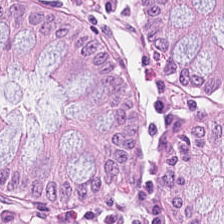H&E-stained tissue section.
The predominant tissue is benign colonic mucosa.
